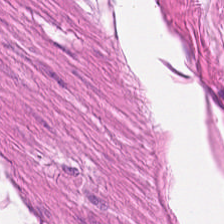Hematoxylin and eosin. Tissue = smooth-muscle tissue.
